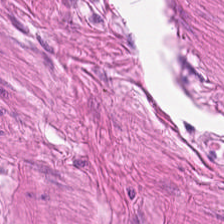Stain: H&E-stained tissue section.
Classification: smooth muscle.
